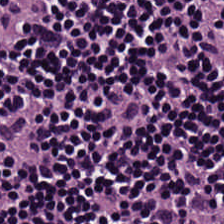H&E stain · 224×224 px patch — Predominantly lymphocytic infiltrate.
